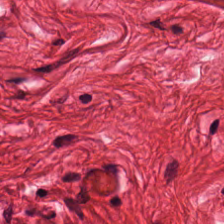Classification — smooth-muscle tissue.
